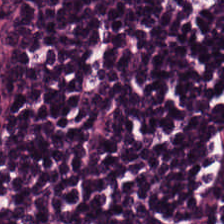H&E stain.
Tissue class = lymphocyte aggregate.
